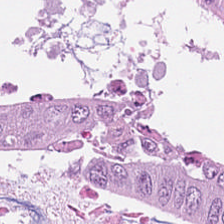Whole-slide-image patch. H&E-stained tissue section.
The tissue here is colorectal adenocarcinoma.
